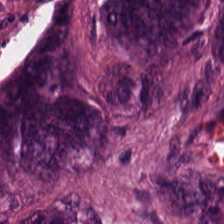Stain: H&E.
Preparation: FFPE tissue section.
Classification: colorectal adenocarcinoma.
